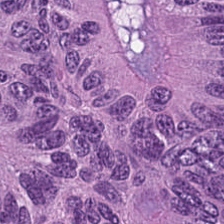H&E-stained tissue section; 0.5 microns per pixel; 224×224 px patch. Tissue type — colorectal adenocarcinoma epithelium.
